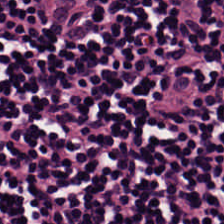Showing lymphocytic infiltrate.
